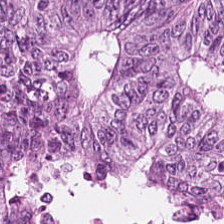Q: What tissue is shown?
A: The field shows adenocarcinoma.
